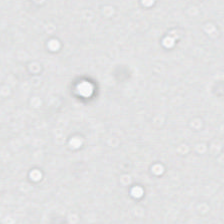Q: What does this patch show?
A: Background (no tissue).
